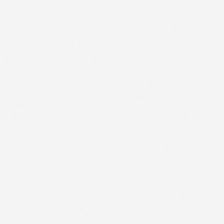H&E-stained tissue section. 0.5 µm per pixel. FFPE.
This patch shows empty background.
